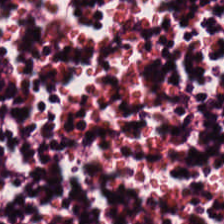0.5 µm per pixel; H&E stain; FFPE. The tissue here is lymphocytic infiltrate.
